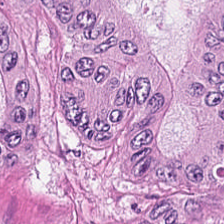Stain: H&E.
Tissue class: colorectal adenocarcinoma epithelium.
